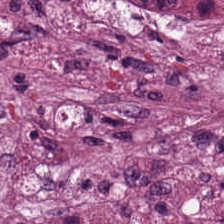H&E.
{"tissue_type": "desmoplastic stroma"}
